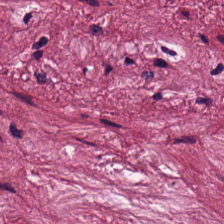FFPE tissue section · hematoxylin and eosin — This patch shows tumor-associated stroma.
